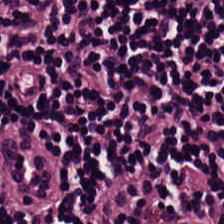H&E — lymphocyte aggregate.
